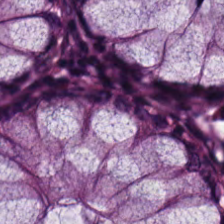H&E · FFPE.
Tissue class: benign colonic mucosa.
